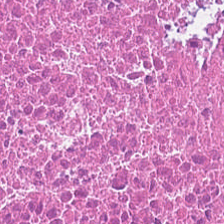Hematoxylin-and-eosin stained section. {"tissue_type": "debris"}
